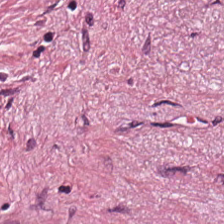FFPE tissue section; H&E.
The predominant tissue is tumor stroma.
